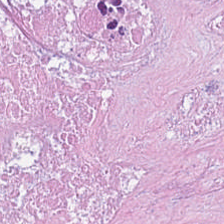Formalin-fixed paraffin-embedded section · H&E stain — Tissue = cellular debris.
